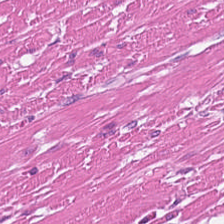Q: What is the predominant tissue type?
A: Muscularis.
